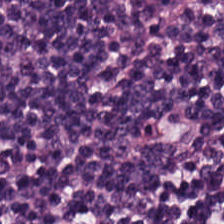Showing lymphocytes.
